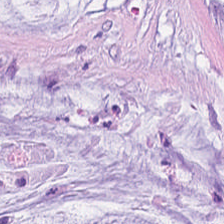224×224 pixel tile · H&E-stained tissue section · 0.5 µm per pixel. Q: What does this patch show?
A: It is extracellular mucin.
